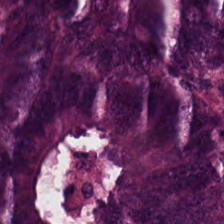Hematoxylin-and-eosin stained section · 224×224 pixel tile · FFPE. Predominant tissue — colorectal adenocarcinoma.
